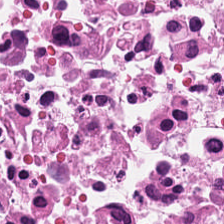WSI patch · FFPE · H&E stain. The classification is debris.
